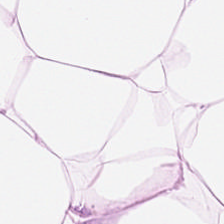Hematoxylin and eosin. {"tissue_type": "adipose"}
